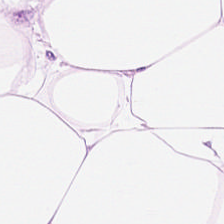Hematoxylin and eosin — Tissue type: fat tissue.
